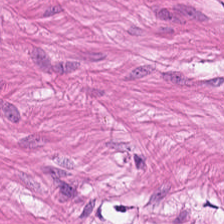Hematoxylin and eosin. 0.5 µm per pixel. 224×224 px tile. {"tissue_type": "muscularis"}
